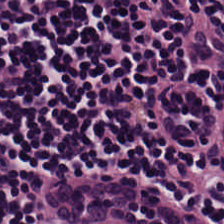H&E-stained tissue section. Histology → lymphoid infiltrate.
